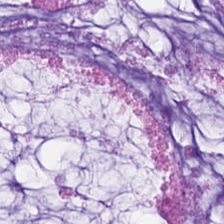H&E stain.
Extracellular mucin.
